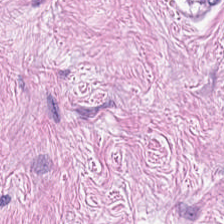H&E-stained section; the field shows tumor-associated stroma.
